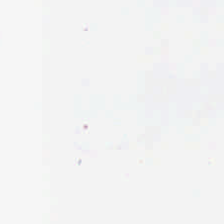Background — no tissue in this field.
